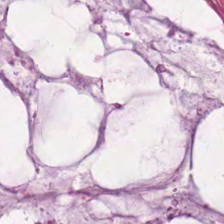H&E stain · formalin-fixed paraffin-embedded section.
This patch shows mucin.
